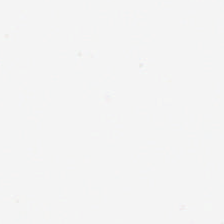H&E. Q: Classify this patch.
A: The field shows background.
